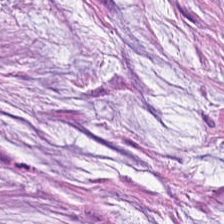224×224 px tile. H&E. 0.5 µm/px. Q: Classify this patch.
A: Mucus.
